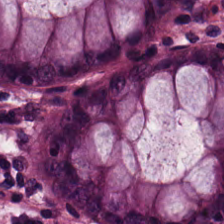H&E patch showing benign colonic mucosa.
